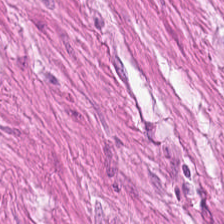H&E. This field is muscularis.
